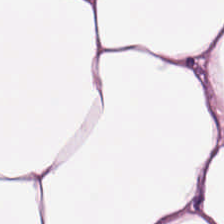H&E stain. Predominant tissue — fat tissue.
